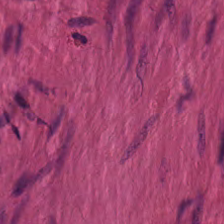Hematoxylin and eosin · 20× equivalent magnification. {"tissue_type": "smooth muscle"}
